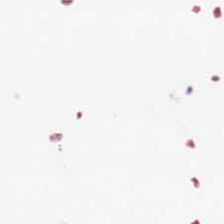FFPE tissue section · H&E · 224×224 px tile.
This field is background (no tissue).
